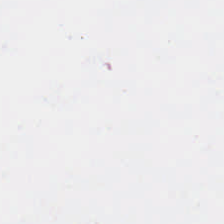H&E — Empty field — background (no tissue).
